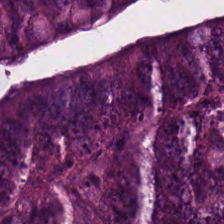Stain: H&E-stained tissue section.
Preparation: formalin-fixed paraffin-embedded section.
Acquisition: brightfield.
Tissue type: colorectal adenocarcinoma.
